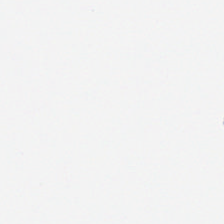H&E. WSI patch. 224×224 px tile — {"content": "no tissue"}
